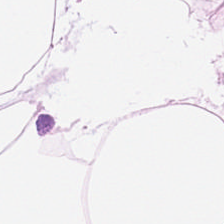Hematoxylin and eosin · 224×224 pixel tile · formalin-fixed paraffin-embedded section.
The tissue type is adipose tissue.
